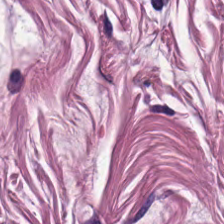Finding → smooth-muscle tissue.
